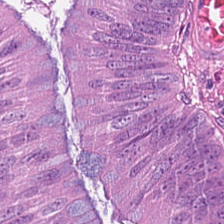0.5 microns per pixel · whole-slide-image patch · H&E-stained tissue section. Predominant tissue — tumor epithelium.
